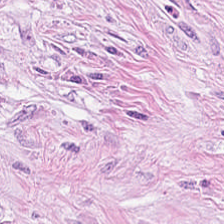The predominant tissue is cancer-associated stroma.
